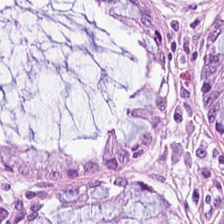H&E.
Predominantly benign colonic mucosa.
